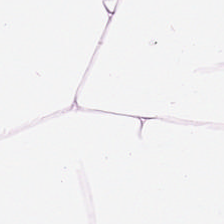Stain: H&E stain.
Predominant tissue: adipose tissue.
